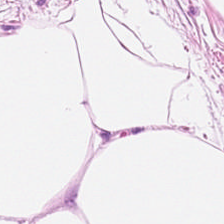H&E stain — The tissue here is adipocytes.
